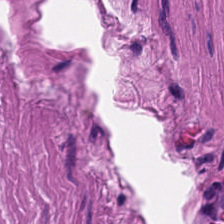H&E stain. 224×224 pixel tile.
Finding → smooth-muscle tissue.
